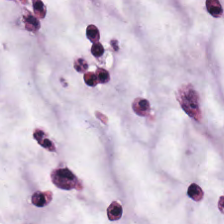Tissue class = mucus.
